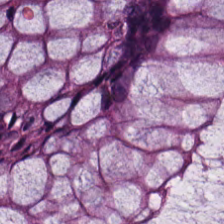H&E-stained tissue section — The tissue class is normal colonic mucosa.
